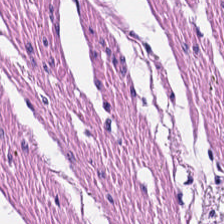{"tissue_type": "muscularis"}
